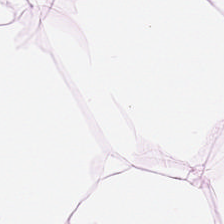Stain: H&E.
Acquisition: brightfield.
Predominant tissue: adipocytes.
